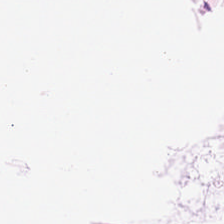Formalin-fixed paraffin-embedded section · hematoxylin and eosin — Showing adipocytes.
